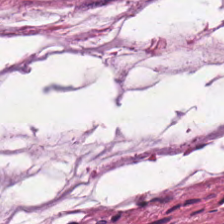Hematoxylin-and-eosin stained section. Q: Classify this patch.
A: This is mucin.
